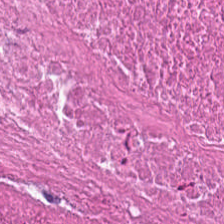H&E. Classification = cellular debris.
